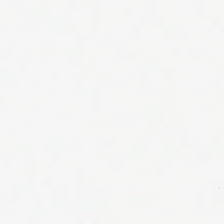Histology → empty background.
